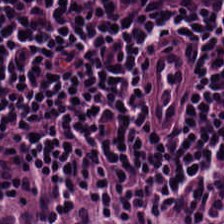Hematoxylin-and-eosin stained section · 0.5 µm/px. Q: What tissue type is shown here?
A: It is lymphocytic infiltrate.
